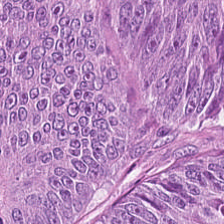WSI patch; FFPE tissue section; hematoxylin and eosin.
{"tissue_type": "colorectal adenocarcinoma epithelium"}
